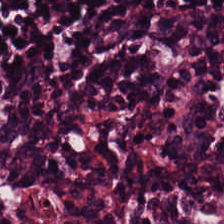Stain: H&E.
Tissue: lymphocytes.
